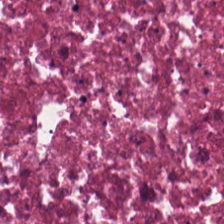Stain: H&E.
Preparation: formalin-fixed paraffin-embedded section.
Classification: necrotic debris.
